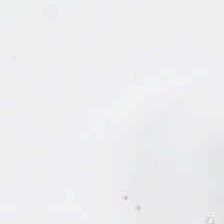{"content": "background"}
